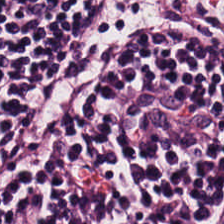H&E. The tissue here is lymphocyte aggregate.
